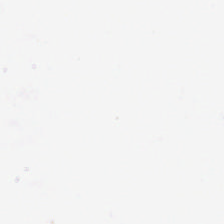{"content": "background"}
